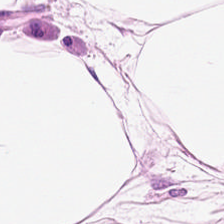Q: What type of tissue is this?
A: This is adipose tissue.
